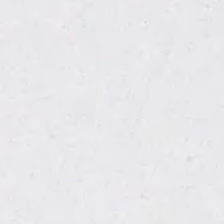Hematoxylin and eosin — Background — no tissue in this field.
